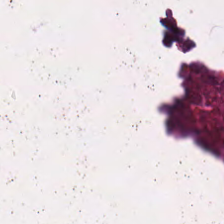Q: What type of tissue is this?
A: This is debris.
